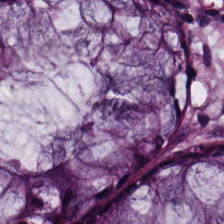224×224 pixel tile; H&E stain — Q: What tissue type is shown here?
A: The field shows normal colonic mucosa.
